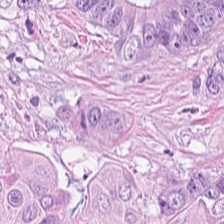H&E stain · 0.5 µm per pixel — Q: What tissue is shown?
A: It is colorectal adenocarcinoma epithelium.
